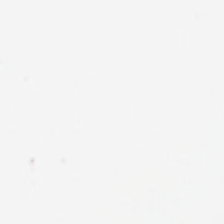H&E. This patch shows background.
